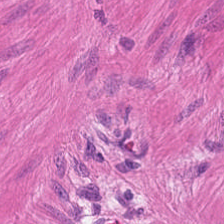Finding → smooth muscle.
